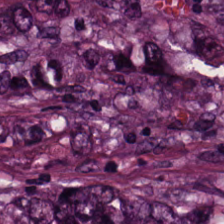The tissue here is colorectal adenocarcinoma epithelium.
